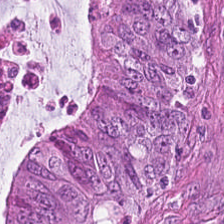H&E-stained tissue section — Q: Identify the tissue.
A: This is colorectal adenocarcinoma.
